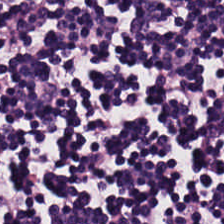Stain: H&E stain.
Preparation: FFPE tissue section.
Classification: lymphocyte aggregate.
